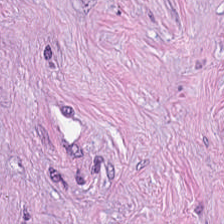The tissue class is tumor stroma.
